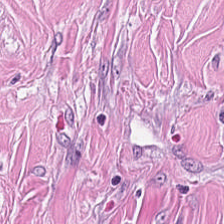Cancer-associated stroma.
